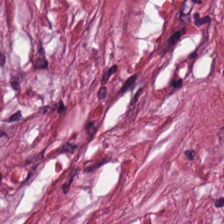H&E.
Predominantly cancer-associated stroma.
